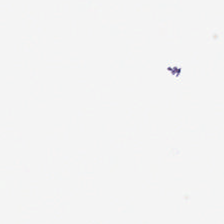Stain: H&E.
Resolution: 0.5 µm/px.
Classification: empty background.
